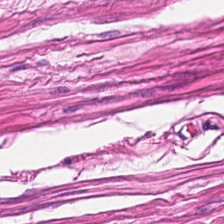Stain: hematoxylin and eosin.
Tissue: smooth-muscle tissue.
